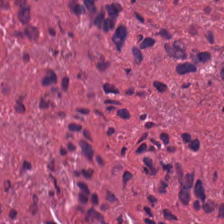Tissue type — cellular debris.
